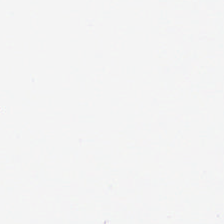H&E.
This field is background (no tissue).
